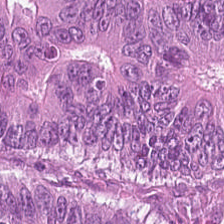Hematoxylin-and-eosin stained section. Tissue = colorectal adenocarcinoma epithelium.
